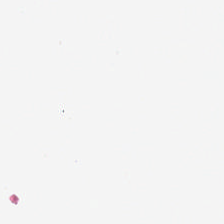224×224 px tile · H&E · whole-slide-image patch. Classification = no tissue.
